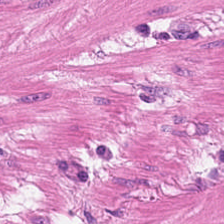Stain: hematoxylin-and-eosin stained section.
Predominant tissue: muscularis.
